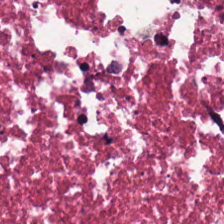Tissue — necrotic debris.
